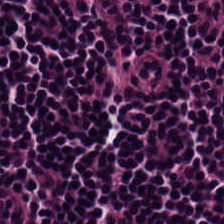Impression → lymphocyte aggregate.
